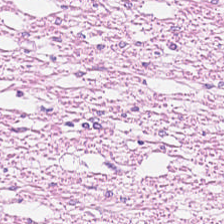H&E stain — Q: What tissue type is shown here?
A: Smooth-muscle tissue.
